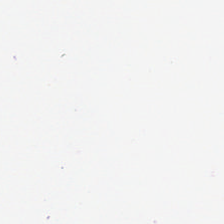H&E-stained tissue section. Q: What does this patch show?
A: The field shows background (no tissue).
